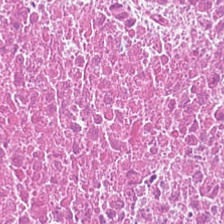Stain: H&E.
Tissue type: necrotic debris.
